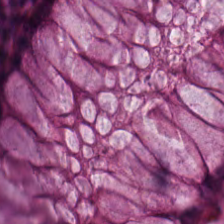20× equivalent magnification · hematoxylin and eosin. Finding → normal colon mucosa.
